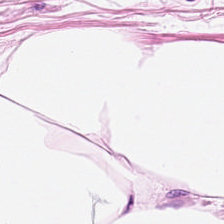Tissue type — fat tissue.
